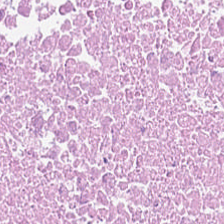Q: What tissue is shown?
A: Debris.
